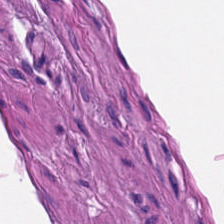Smooth-muscle tissue.
